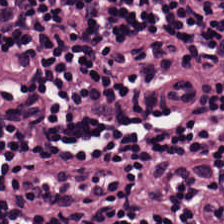Brightfield microscopy · H&E. Predominantly lymphoid infiltrate.
